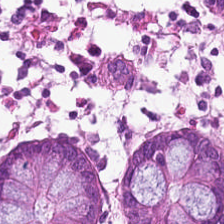Stain: H&E stain.
Resolution: 20× equivalent magnification.
Tissue type: normal colonic mucosa.
